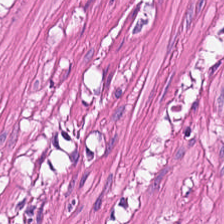Stain: H&E stain.
Resolution: 20× equivalent magnification.
Tissue: smooth-muscle tissue.
